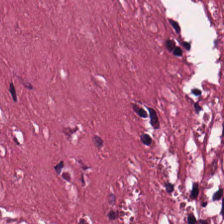Whole-slide-image patch · H&E-stained tissue section — The tissue here is cancer-associated stroma.
